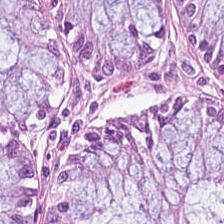Stain: H&E stain.
Tissue type: benign colonic mucosa.
